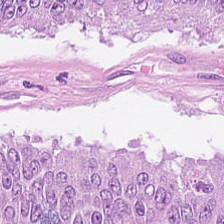H&E stain — This field is tumor epithelium.
